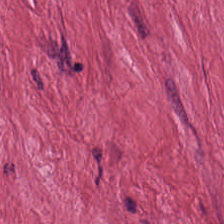H&E patch showing desmoplastic stroma.
